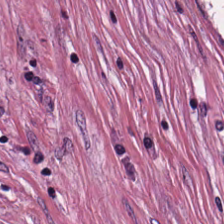Formalin-fixed paraffin-embedded section · H&E-stained tissue section · 224×224 pixel tile — Desmoplastic stroma.
